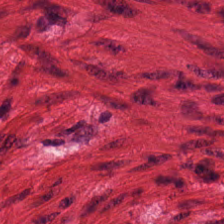0.5 µm/px; hematoxylin and eosin — Q: Identify the tissue.
A: This is smooth-muscle tissue.
